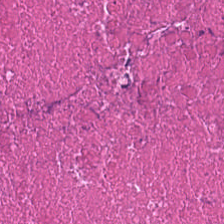Stain: H&E.
Tissue class: necrotic debris.
